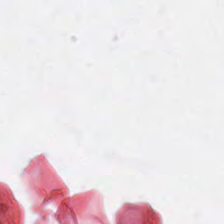Hematoxylin and eosin. This field is background (no tissue).
